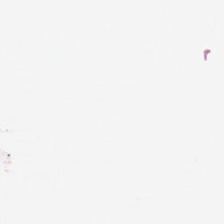H&E-stained tissue section — The field content is background.
